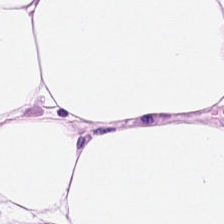H&E-stained tissue section — Q: What tissue is shown?
A: Fat tissue.
